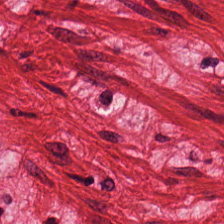Classification — muscularis.
